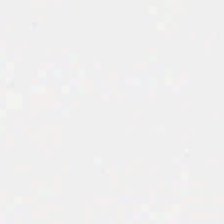0.5 µm/px. Hematoxylin-and-eosin stained section. Empty field — no tissue.
